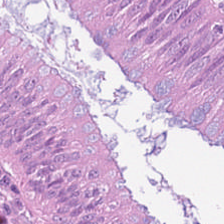H&E-stained section; the field shows colorectal adenocarcinoma epithelium.
